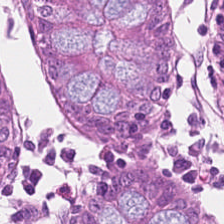Q: What is shown here?
A: The field shows benign colonic mucosa.
